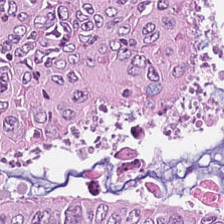The tissue is adenocarcinoma.
